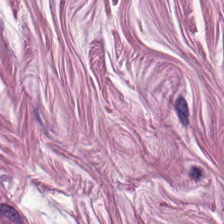H&E-stained tissue section showing smooth muscle.
